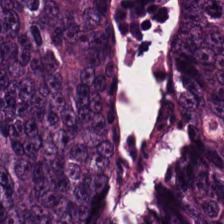H&E — adenocarcinoma.
